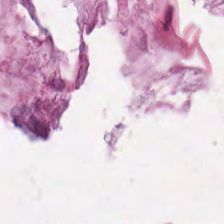H&E stain. Q: What tissue type is shown here?
A: It is mucus.
